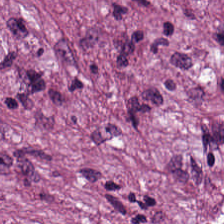Hematoxylin and eosin — Tumor-associated stroma.
